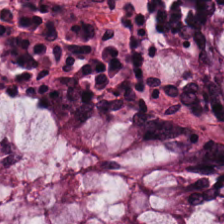H&E · 224×224 px patch — Tissue type: normal colonic mucosa.
